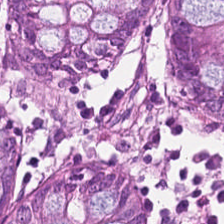Classification = non-neoplastic colon mucosa.
